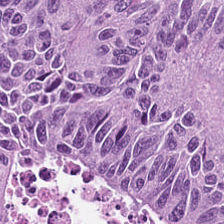H&E-stained tissue section showing colorectal adenocarcinoma.
